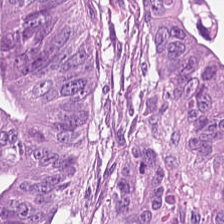H&E-stained tissue section. Predominant tissue — adenocarcinoma.
